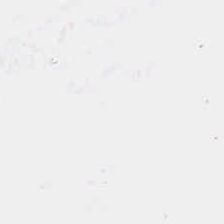Hematoxylin and eosin · brightfield · 224×224 px tile. Content — background (no tissue).
